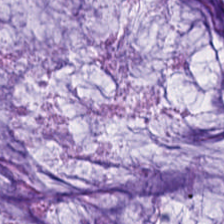H&E. 224×224 px patch.
Q: Classify this patch.
A: This is mucin.
